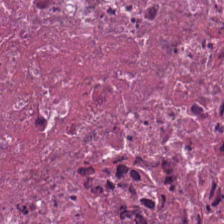Finding — debris.
